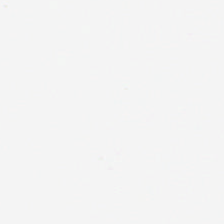Hematoxylin and eosin. {"content": "no tissue"}
